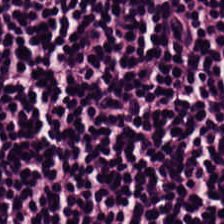FFPE · H&E-stained tissue section · WSI patch — Impression — lymphocytes.
